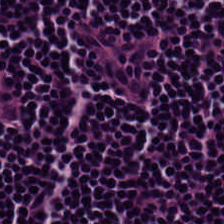H&E-stained tissue section; WSI patch; FFPE. Showing lymphocytes.
